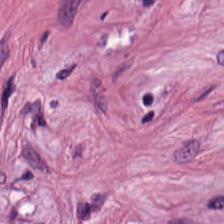H&E stain. Predominantly tumor stroma.
